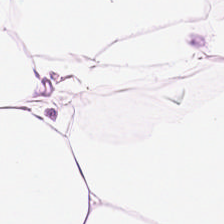0.5 µm/px. H&E-stained tissue section. Q: What is shown in this field?
A: It is adipose.
